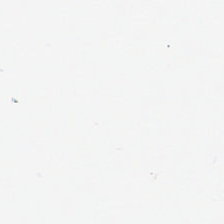Hematoxylin and eosin · 224×224 px patch. Q: Classify this patch.
A: The field shows background (no tissue).
